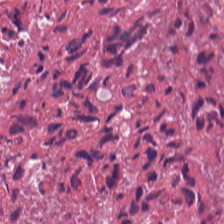FFPE. Hematoxylin-and-eosin stained section — This field is cellular debris.
